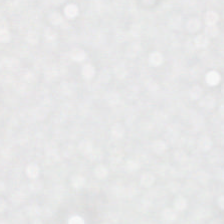{"content": "no tissue"}
